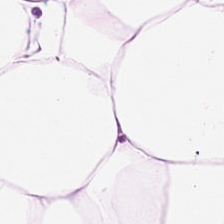H&E stain — This patch shows fat tissue.
